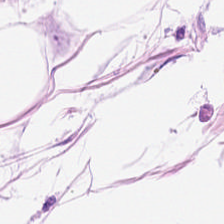H&E-stained tissue section. 0.5 µm/px. Impression — adipose tissue.
